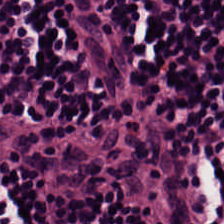Lymphocyte aggregate.
